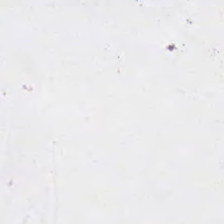No tissue present; background only.
